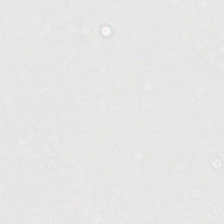H&E-stained tissue section. No tissue present; background only.
